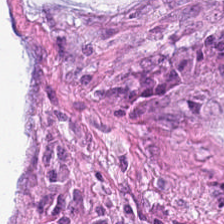{"tissue_type": "extracellular mucin"}
